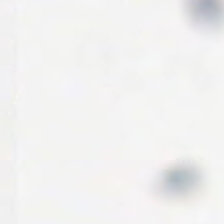Stain: H&E.
Tile size: 224×224 px tile.
Classification: empty background.
